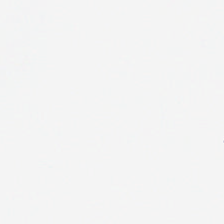H&E. Background — no tissue in this field.
